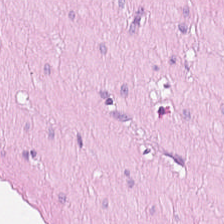H&E stain — Showing smooth-muscle tissue.
